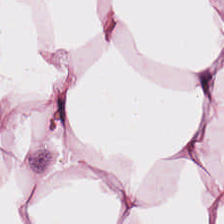Q: What does this patch show?
A: This is fat tissue.
